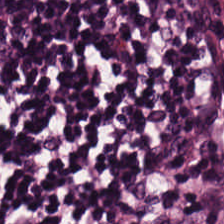Hematoxylin and eosin. The predominant tissue is lymphoid infiltrate.
